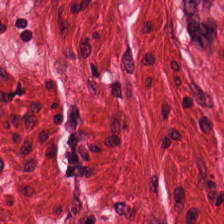This patch shows smooth muscle.
